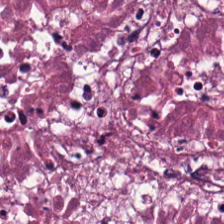H&E — Histology — necrotic debris.
